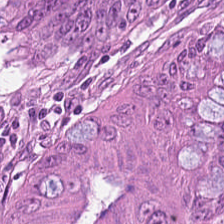FFPE. 0.5 microns per pixel. Hematoxylin and eosin. Classification: colorectal adenocarcinoma.
